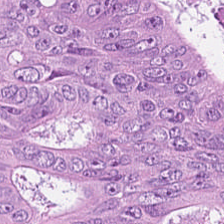Hematoxylin and eosin.
{"tissue_type": "adenocarcinoma"}
